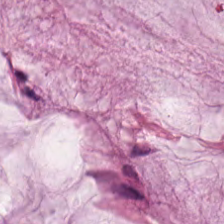H&E stain — The tissue class is extracellular mucin.
